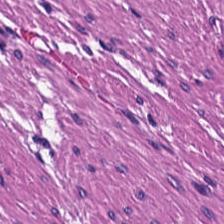H&E.
This field is smooth muscle.
